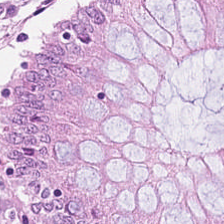Hematoxylin-and-eosin stained section. Q: What tissue type is shown here?
A: The field shows benign colonic mucosa.
